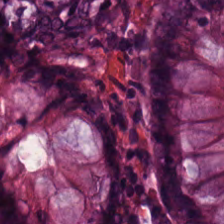H&E-stained tissue section showing normal colon mucosa.
